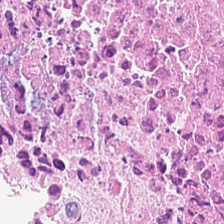H&E stain. WSI patch. The tissue type is necrotic debris.
